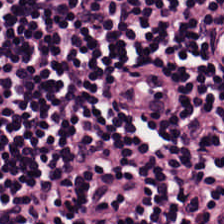WSI patch; hematoxylin-and-eosin stained section. This field is lymphoid infiltrate.
